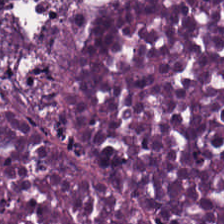0.5 µm/px · hematoxylin and eosin · FFPE.
Q: What is the predominant tissue type?
A: Necrotic debris.
